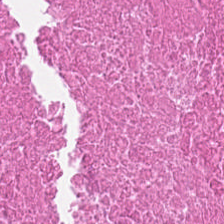H&E stain. FFPE tissue section. Brightfield — Q: Classify this patch.
A: Cellular debris.
